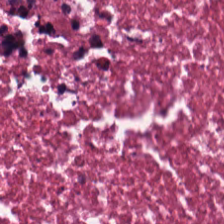Hematoxylin and eosin; brightfield — The predominant tissue is cellular debris.
